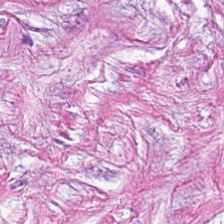H&E. Q: What type of tissue is this?
A: Desmoplastic stroma.
